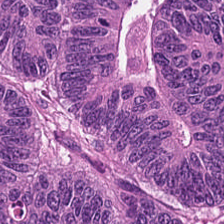Hematoxylin and eosin · 224×224 px tile.
Showing colorectal adenocarcinoma epithelium.
